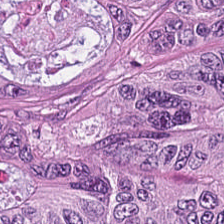Tissue type = malignant epithelium.
